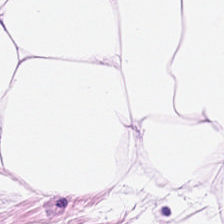Hematoxylin-and-eosin stained section · 0.5 µm per pixel — Impression → adipose tissue.
